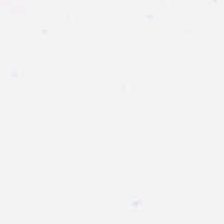Hematoxylin-and-eosin stained section. Q: Classify this patch.
A: Empty background.
